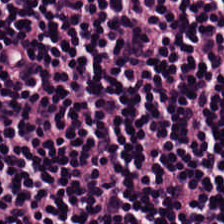H&E-stained tissue section — Tissue type — lymphoid infiltrate.
